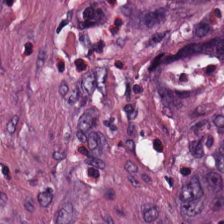Stain: H&E.
Resolution: 0.5 µm per pixel.
Tissue: cancer-associated stroma.
